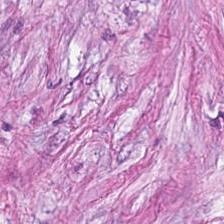H&E stain.
This field is desmoplastic stroma.
